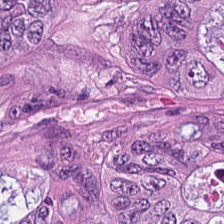Whole-slide-image patch. Hematoxylin and eosin — Tumor epithelium.
